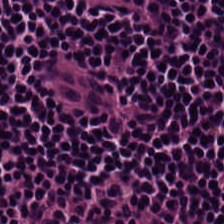Hematoxylin and eosin. Formalin-fixed paraffin-embedded section — Impression — lymphocytes.
